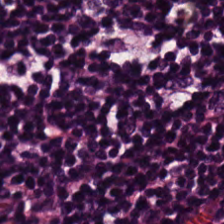Brightfield microscopy. Hematoxylin-and-eosin stained section.
Predominantly lymphocytic infiltrate.
